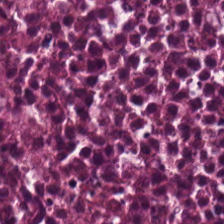H&E stain. 224×224 pixel tile. Tissue — debris.
